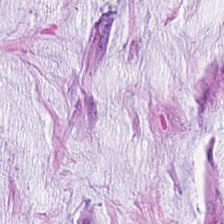Predominantly mucin.
